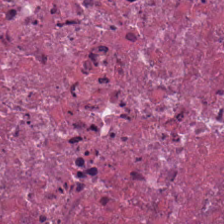Classification — cellular debris.
